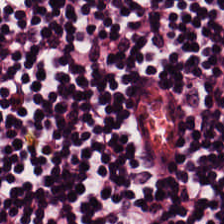Q: Identify the tissue.
A: It is lymphocytic infiltrate.
